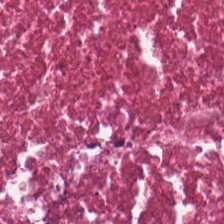Hematoxylin and eosin. Brightfield. 0.5 microns per pixel — The tissue here is cellular debris.
